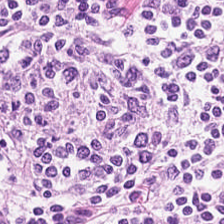Hematoxylin and eosin; 20× equivalent magnification. Tissue type: lymphoid infiltrate.
